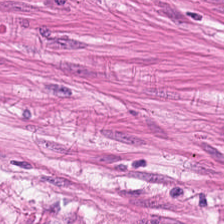H&E.
Classification = muscularis.
